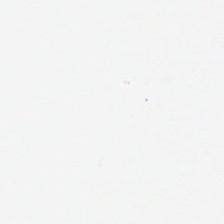Hematoxylin and eosin; 0.5 microns per pixel; FFPE.
This patch shows empty background.
